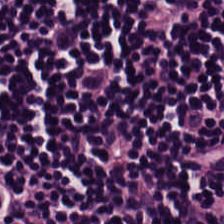Tissue class: lymphocytes.
